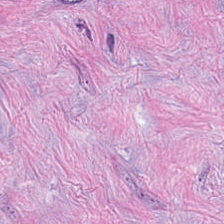H&E stain; 20× equivalent magnification. {"tissue_type": "cancer-associated stroma"}
